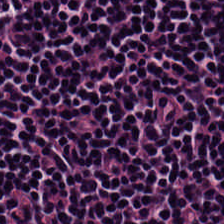H&E.
Lymphocytic infiltrate.
